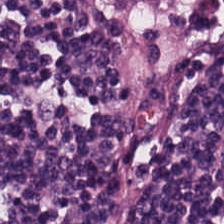H&E.
Q: What does this patch show?
A: It is lymphocytes.
